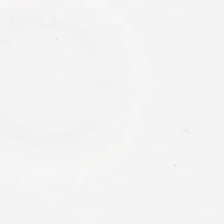Hematoxylin and eosin — No tissue present; background only.
